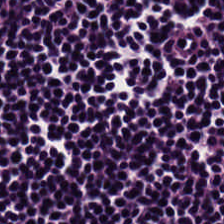Predominant tissue = lymphocyte aggregate.
